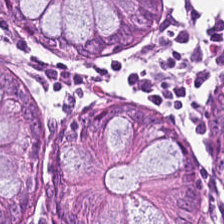Stain: H&E.
Classification: benign colonic mucosa.
